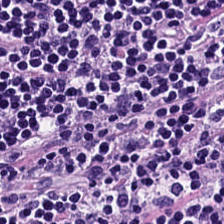Stain: H&E.
Tissue class: lymphocytes.
